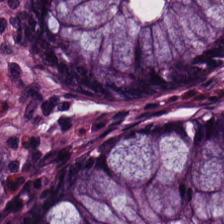Hematoxylin-and-eosin stained section · brightfield microscopy. Tissue class = non-neoplastic colon mucosa.
